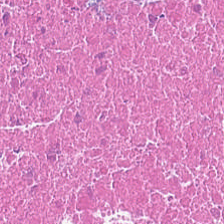Stain: H&E.
Preparation: FFPE.
Classification: debris.
